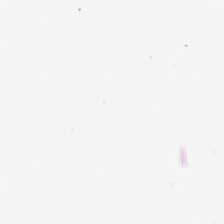WSI patch; FFPE; H&E. Content = empty background.
